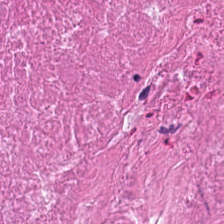Stain: H&E.
Tissue type: cellular debris.
